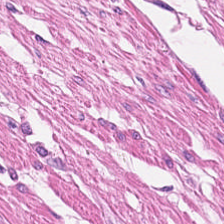Hematoxylin-and-eosin stained section — Showing smooth muscle.
